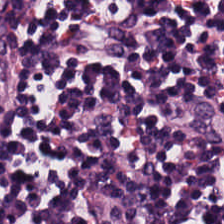H&E stain — Predominantly lymphocytes.
